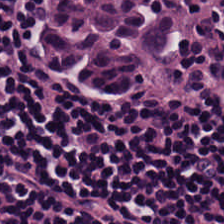Hematoxylin and eosin. Q: Identify the tissue.
A: Lymphoid infiltrate.
